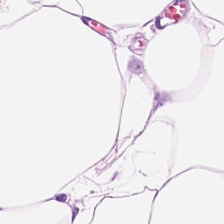H&E-stained tissue section showing adipocytes.
